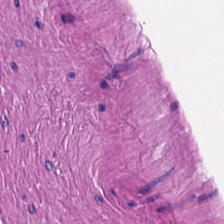Hematoxylin-and-eosin stained section. Brightfield.
The tissue here is muscularis.
